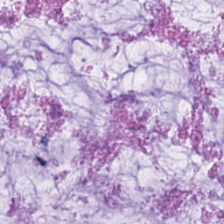Histology → extracellular mucin.
